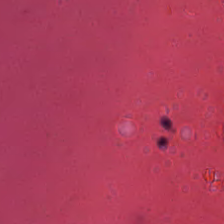0.5 µm/px · hematoxylin-and-eosin stained section.
Tissue type — debris.
